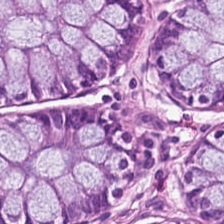Tissue class = benign colonic mucosa.
